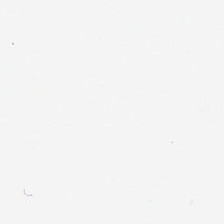Hematoxylin-and-eosin stained section.
The classification is no tissue.
